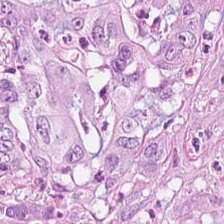FFPE tissue section · H&E-stained tissue section.
Impression — adenocarcinoma.
